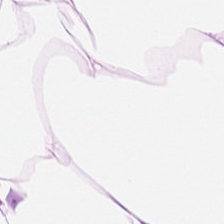Hematoxylin and eosin.
Showing adipocytes.
